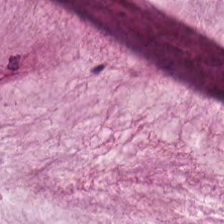Hematoxylin and eosin — Predominantly mucus.
